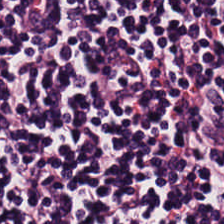H&E — lymphocytes.
